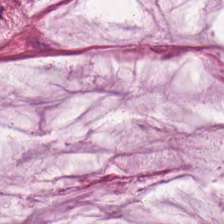Tissue: mucin.
